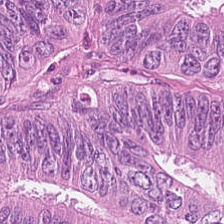Hematoxylin and eosin — Predominantly tumor epithelium.
